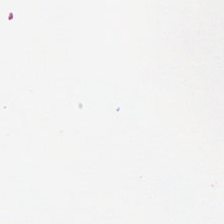{"content": "empty background"}
